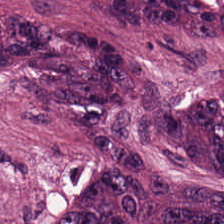FFPE tissue section · hematoxylin and eosin — The predominant tissue is adenocarcinoma.
